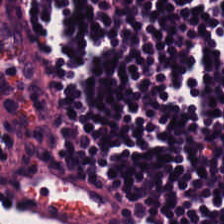Hematoxylin-and-eosin stained section — Showing lymphocytic infiltrate.
